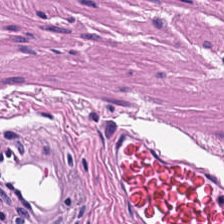Q: What is shown here?
A: It is smooth muscle.
